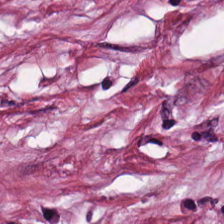H&E-stained tissue section; FFPE tissue section. {"tissue_type": "desmoplastic stroma"}
